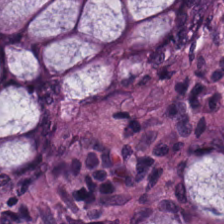Hematoxylin-and-eosin section: benign colonic mucosa.
